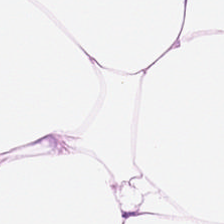Hematoxylin-and-eosin stained section. Q: What tissue is shown?
A: The field shows adipose.
